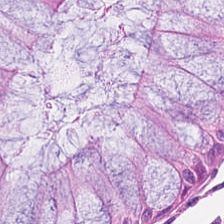H&E stain. Q: Identify the tissue.
A: It is non-neoplastic colon mucosa.
